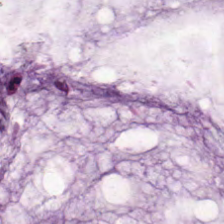Hematoxylin and eosin. Brightfield. 224×224 px patch — {"tissue_type": "mucus"}
